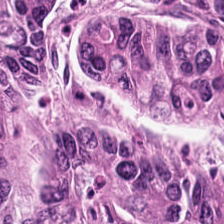Hematoxylin and eosin.
The tissue is colorectal adenocarcinoma.
